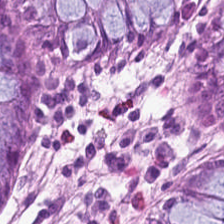Hematoxylin-and-eosin stained section; 0.5 microns per pixel. Impression — normal colonic mucosa.
